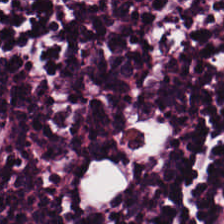224×224 px patch. WSI patch. Hematoxylin-and-eosin stained section.
The classification is lymphoid infiltrate.
